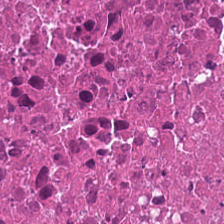Hematoxylin and eosin — The tissue class is debris.
